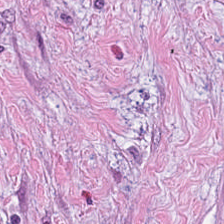Formalin-fixed paraffin-embedded section. H&E stain. 20× equivalent magnification.
Q: What tissue type is shown here?
A: The field shows tumor-associated stroma.
